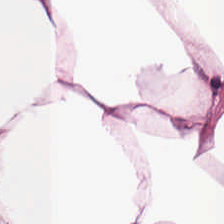Impression — adipose.
